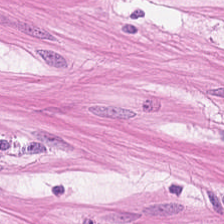Stain: hematoxylin-and-eosin stained section.
Acquisition: brightfield.
Resolution: 0.5 microns per pixel.
Tissue type: smooth-muscle tissue.
